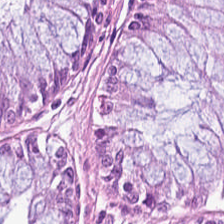Hematoxylin-and-eosin stained section — Tissue type — normal colon mucosa.
